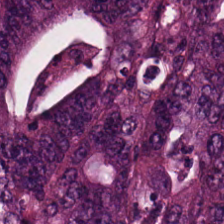Tissue type — adenocarcinoma.
